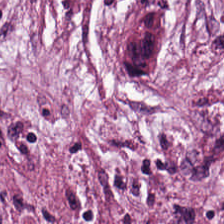Stain: H&E stain.
Tissue class: cancer-associated stroma.
